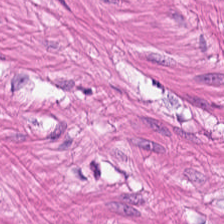H&E stain. Q: Identify the tissue.
A: This is smooth-muscle tissue.
